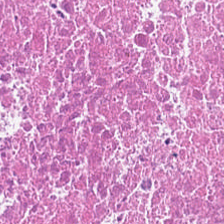Hematoxylin-and-eosin stained section. {"tissue_type": "cellular debris"}
